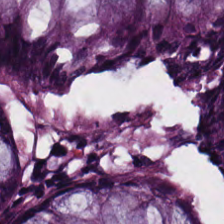H&E. Predominantly non-neoplastic colon mucosa.
